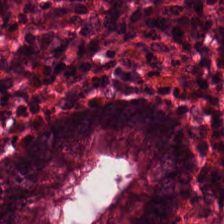H&E-stained tissue section; 0.5 µm per pixel. Q: Classify this patch.
A: The field shows non-neoplastic colon mucosa.
